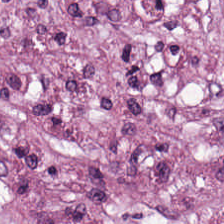H&E-stained tissue section; WSI patch; FFPE — Q: Classify this patch.
A: This is desmoplastic stroma.
